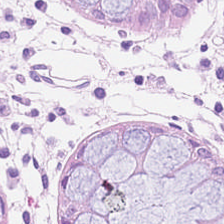H&E-stained tissue section; FFPE. Q: What is the predominant tissue type?
A: This is normal colon mucosa.
